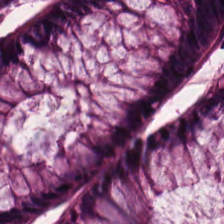Stain: H&E stain.
Tissue: normal colon mucosa.
